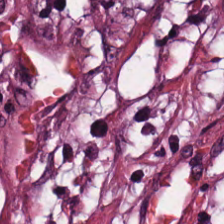Hematoxylin-and-eosin stained section · 224×224 px tile · 0.5 microns per pixel — This patch shows tumor-associated stroma.
